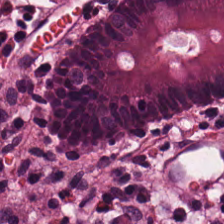Stain: H&E.
Tile size: 224×224 px tile.
Tissue type: normal colon mucosa.
